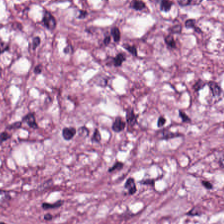FFPE tissue section; H&E stain — Showing tumor-associated stroma.
